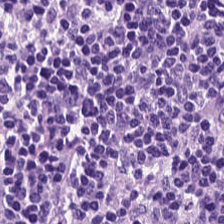224×224 pixel tile; H&E. {"tissue_type": "lymphocyte aggregate"}
